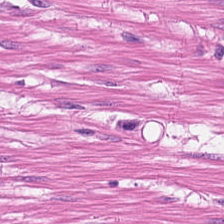H&E. Brightfield. 0.5 microns per pixel.
{"tissue_type": "smooth muscle"}
